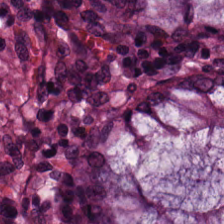H&E-stained section; the field shows normal colon mucosa.
